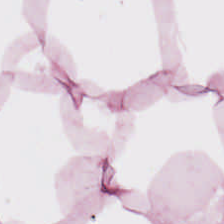224×224 px patch; hematoxylin-and-eosin stained section; 0.5 µm/px — Predominantly adipose tissue.
